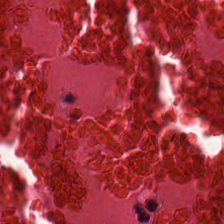Hematoxylin-and-eosin section: necrotic debris.
